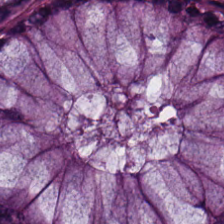This field is non-neoplastic colon mucosa.
